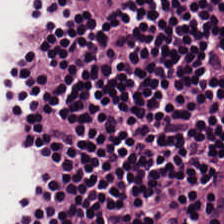H&E. Brightfield microscopy.
Lymphoid infiltrate.
